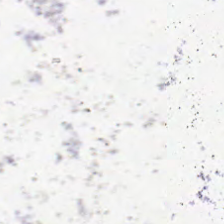H&E stain. Q: What does this patch show?
A: Background (no tissue).
